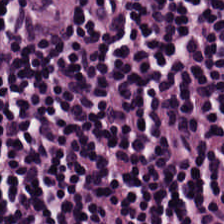Stain: hematoxylin and eosin.
Predominant tissue: lymphoid infiltrate.
